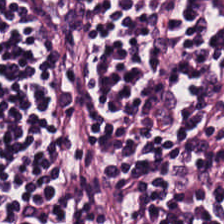Stain: hematoxylin and eosin.
Tissue type: lymphoid infiltrate.
